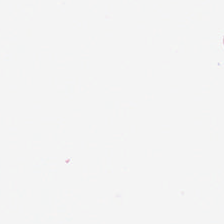H&E-stained tissue section · 0.5 µm per pixel · 224×224 px tile.
This field is background (no tissue).
